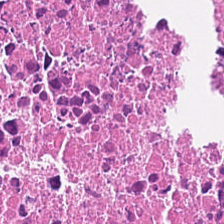H&E stain. Predominant tissue — necrotic debris.
